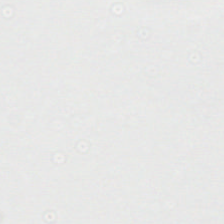Content = background.
